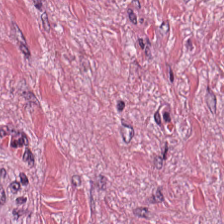H&E. Tumor-associated stroma.
